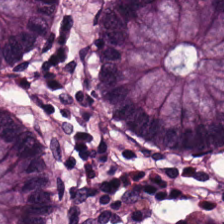Hematoxylin-and-eosin stained section. Formalin-fixed paraffin-embedded section.
Q: What is the predominant tissue type?
A: It is benign colonic mucosa.
